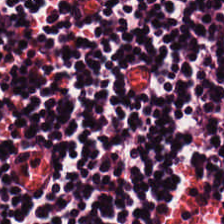0.5 µm/px. Hematoxylin-and-eosin stained section.
The tissue here is lymphocyte aggregate.
